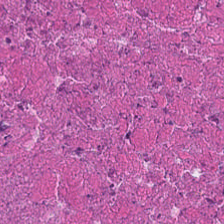Stain: H&E stain.
Resolution: 20× equivalent magnification.
Preparation: FFPE tissue section.
Tissue type: debris.
